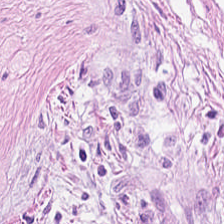Hematoxylin and eosin; FFPE tissue section; 224×224 px tile. Predominantly tumor stroma.
